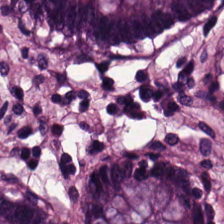H&E-stained tissue section · 224×224 px tile · FFPE — Impression → normal colon mucosa.
